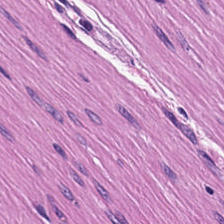Hematoxylin-and-eosin stained section — {"tissue_type": "smooth-muscle tissue"}
